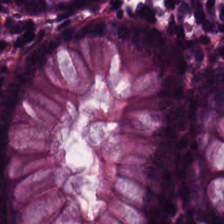Brightfield · hematoxylin-and-eosin stained section · FFPE. Showing benign colonic mucosa.
